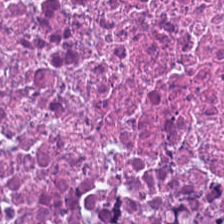Stain: H&E stain.
Tissue class: debris.
